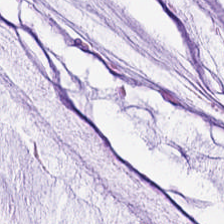0.5 µm per pixel · H&E. Classification: mucin.
